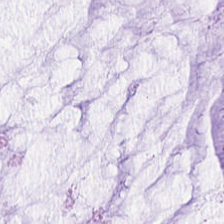Hematoxylin-and-eosin stained section. The tissue here is extracellular mucin.
